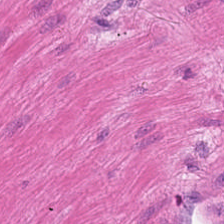H&E stain · FFPE · 224×224 px tile. Impression → smooth muscle.
